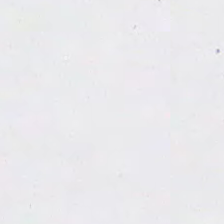FFPE tissue section. Hematoxylin and eosin.
This patch shows empty background.
